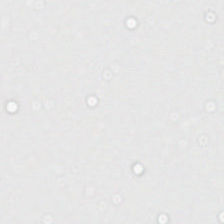224×224 px patch; H&E stain — Q: What is shown in this field?
A: This is background.
